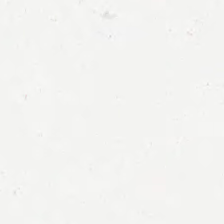Hematoxylin-and-eosin stained section · formalin-fixed paraffin-embedded section · 224×224 px patch. Content = background (no tissue).
